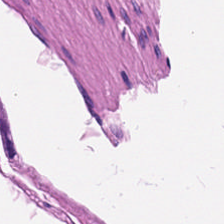Predominant tissue: smooth muscle.
